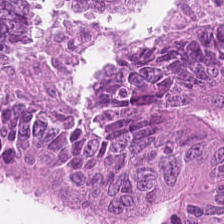224×224 pixel tile · FFPE · H&E stain — {"tissue_type": "colorectal adenocarcinoma"}
